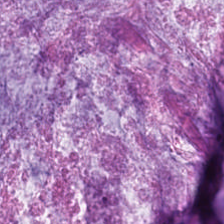H&E.
Showing mucin.
